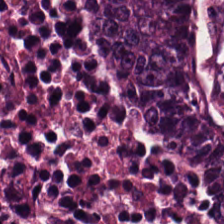Hematoxylin-and-eosin stained section. This patch shows tumor epithelium.
